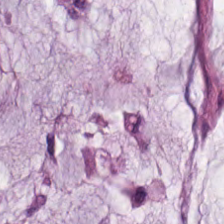Hematoxylin-and-eosin stained section. The tissue type is mucin.
